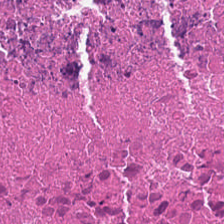The predominant tissue is debris.
